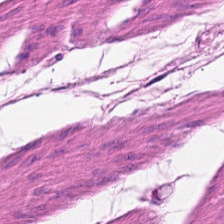FFPE. 224×224 px tile. H&E stain — The tissue here is smooth muscle.
